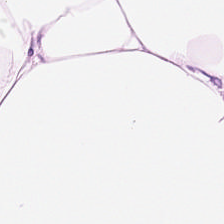H&E stain. The predominant tissue is adipose.
